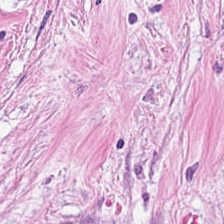H&E stain. Q: What is the predominant tissue type?
A: The field shows cancer-associated stroma.
